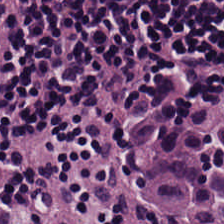H&E stain. 0.5 µm/px. Lymphocytes.
